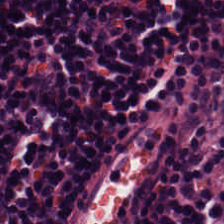The predominant tissue is lymphocytes.
